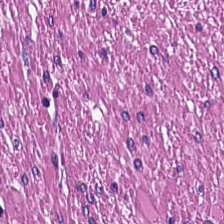Hematoxylin-and-eosin stained section — Predominantly smooth muscle.
